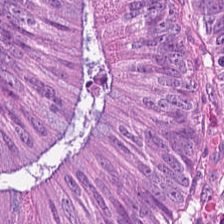H&E — Q: What tissue is shown?
A: This is colorectal adenocarcinoma.
